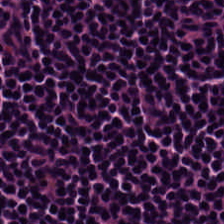0.5 µm/px; hematoxylin-and-eosin stained section. Q: Classify this patch.
A: Lymphocyte aggregate.
